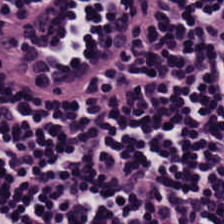Formalin-fixed paraffin-embedded section · H&E-stained tissue section. The tissue here is lymphocytic infiltrate.
